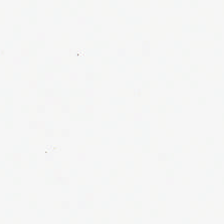H&E-stained tissue section.
Impression → no tissue.
